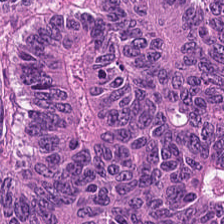Hematoxylin-and-eosin stained section. Predominant tissue = adenocarcinoma.
